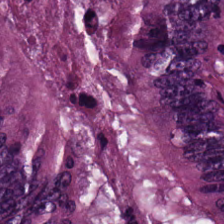H&E.
The tissue here is adenocarcinoma.
